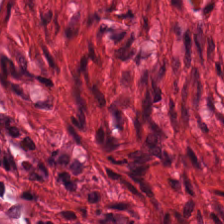Brightfield microscopy · 224×224 pixel tile · hematoxylin and eosin — Impression — muscularis.
